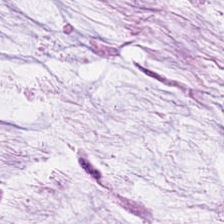Hematoxylin-and-eosin stained section — The classification is extracellular mucin.
